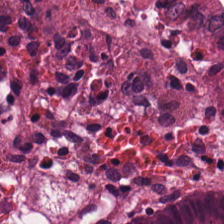WSI patch; FFPE tissue section; H&E — Predominantly non-neoplastic colon mucosa.
